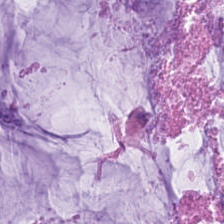H&E.
Tissue type: mucin.
